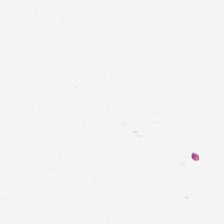H&E-stained tissue section. Background (no tissue).
